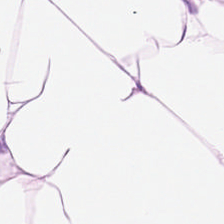H&E stain. The tissue here is adipose.
